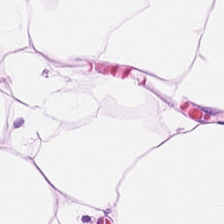H&E-stained tissue section.
Finding → fat tissue.
